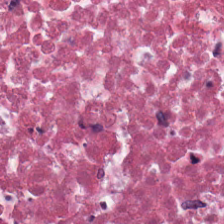Hematoxylin and eosin. Showing debris.
